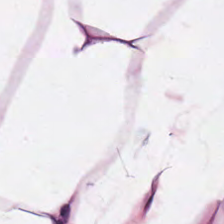H&E. Finding → adipose.
